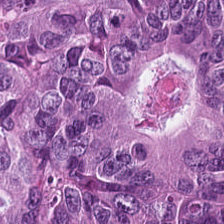Hematoxylin and eosin — {"tissue_type": "colorectal adenocarcinoma"}
